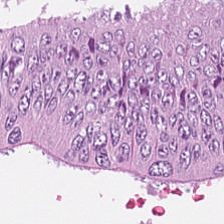H&E-stained tissue section showing malignant epithelium.
